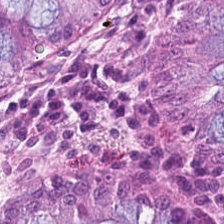Hematoxylin-and-eosin stained section — This patch shows normal colon mucosa.
